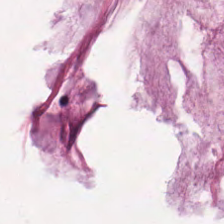H&E — Tissue class: extracellular mucin.
